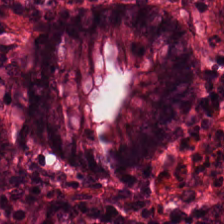H&E-stained section; the field shows normal colon mucosa.
